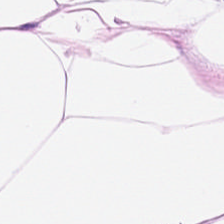H&E-stained tissue section.
{"tissue_type": "fat tissue"}
